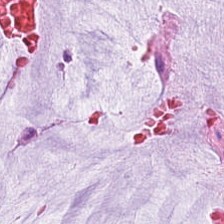FFPE; WSI patch; hematoxylin-and-eosin stained section — Tissue type = extracellular mucin.
